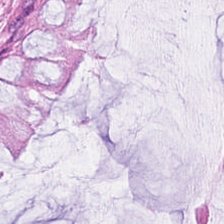Stain: H&E.
Preparation: FFPE tissue section.
Tissue type: normal colonic mucosa.
